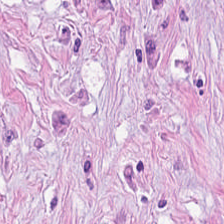Whole-slide-image patch · hematoxylin-and-eosin stained section — Q: What does this patch show?
A: This is desmoplastic stroma.
